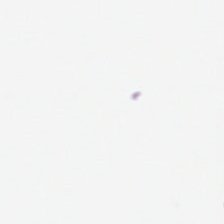Q: What is shown in this field?
A: This is background (no tissue).
